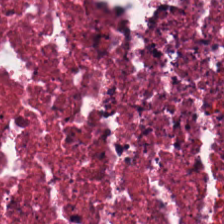H&E stain — This field is debris.
